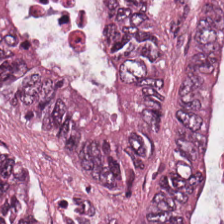Hematoxylin and eosin — The predominant tissue is malignant epithelium.
